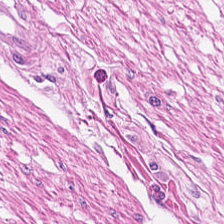Hematoxylin and eosin. Tissue type — smooth muscle.
